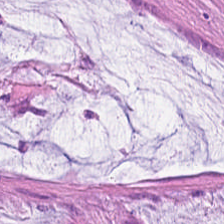Q: What is shown in this field?
A: It is mucin.
